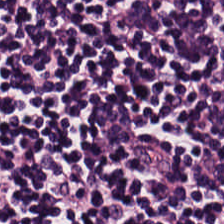0.5 µm/px · H&E-stained tissue section · FFPE tissue section.
Q: What is shown in this field?
A: The field shows lymphoid infiltrate.
